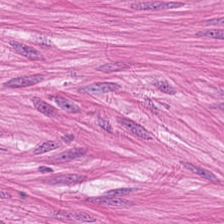Tissue = smooth muscle.
